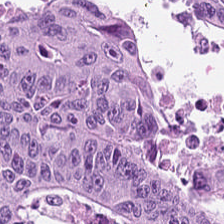Hematoxylin and eosin · 224×224 px tile.
This field is adenocarcinoma.
